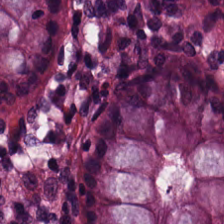224×224 pixel tile. H&E stain — Q: What does this patch show?
A: This is normal colon mucosa.
